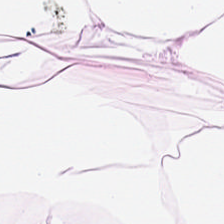Impression → adipose.
